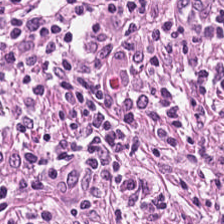{"tissue_type": "tumor-associated stroma"}
